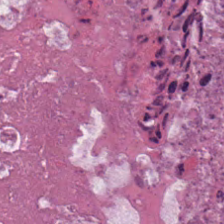0.5 µm/px; H&E stain — Predominant tissue: necrotic debris.
